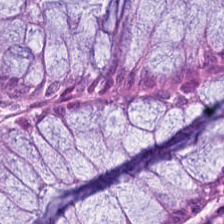Hematoxylin-and-eosin stained section. The predominant tissue is normal colonic mucosa.
